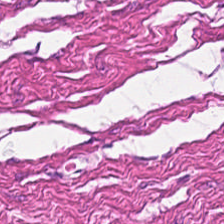WSI patch. H&E.
Finding — smooth-muscle tissue.
